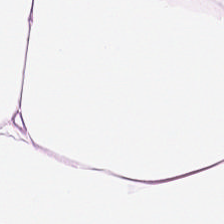H&E stain.
The tissue here is adipocytes.
